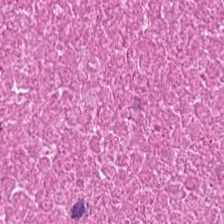H&E stain; formalin-fixed paraffin-embedded section; 0.5 µm/px. This patch shows cellular debris.
